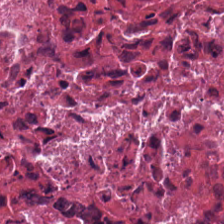H&E.
The predominant tissue is cellular debris.
